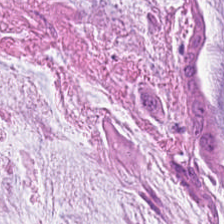H&E stain. Q: What tissue is shown?
A: This is mucus.
